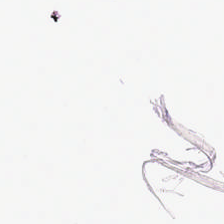The classification is background.
